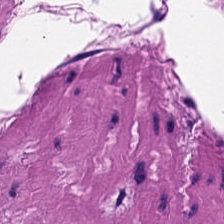Hematoxylin-and-eosin stained section. Impression → smooth muscle.
